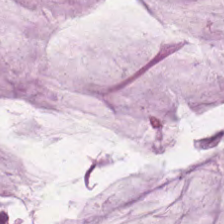Brightfield · hematoxylin and eosin — Q: What is the predominant tissue type?
A: This is extracellular mucin.
